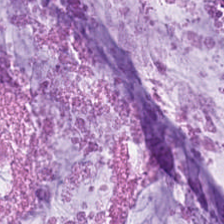Hematoxylin-and-eosin stained section · 20× equivalent magnification — Predominant tissue = mucus.
